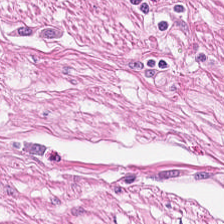Brightfield microscopy · hematoxylin-and-eosin stained section.
The classification is smooth-muscle tissue.
